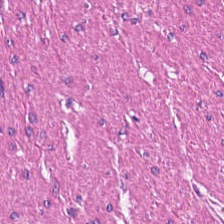Tissue class — smooth muscle.
